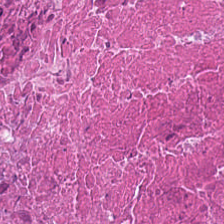H&E — Tissue type = cellular debris.
